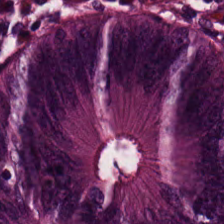0.5 µm per pixel · FFPE · H&E stain.
Predominantly colorectal adenocarcinoma.
